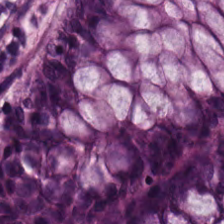H&E stain — Showing non-neoplastic colon mucosa.
